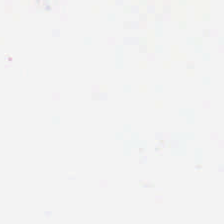Empty field — no tissue.
